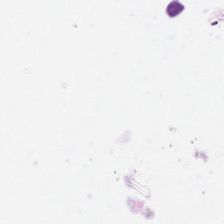This patch shows empty background.
